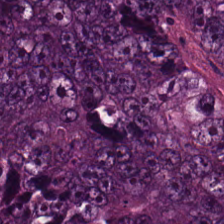224×224 pixel tile. Hematoxylin and eosin. 0.5 microns per pixel — Classification: colorectal adenocarcinoma epithelium.
